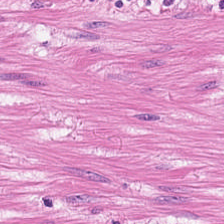H&E. 224×224 px patch — Classification: smooth-muscle tissue.
